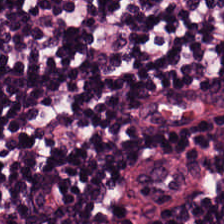H&E — Finding → lymphocytic infiltrate.
